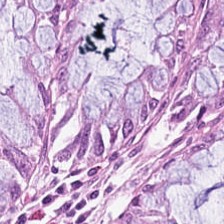H&E.
The predominant tissue is normal colonic mucosa.
